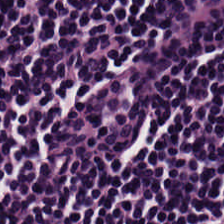The classification is lymphoid infiltrate.
